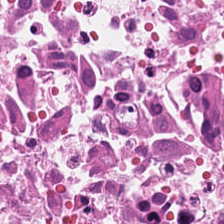H&E. {"tissue_type": "debris"}
